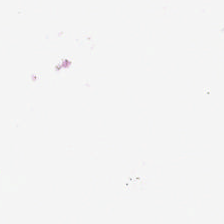This field is background (no tissue).
